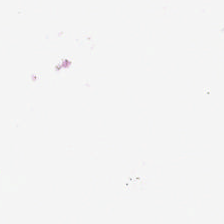This field is background (no tissue).
